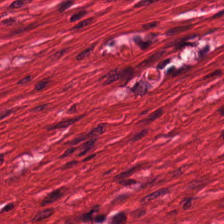Histology → smooth muscle.
